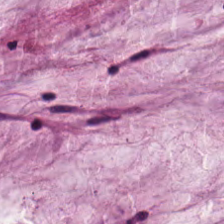H&E — Extracellular mucin.
